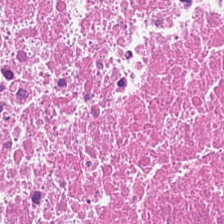0.5 µm/px. H&E stain — Classification — necrotic debris.
